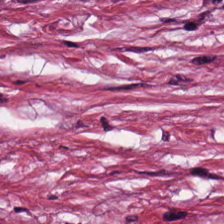Tissue type = tumor-associated stroma.
